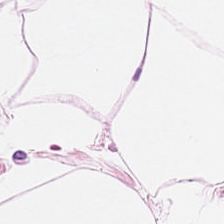224×224 px patch; hematoxylin and eosin; 0.5 µm per pixel.
Showing fat tissue.
